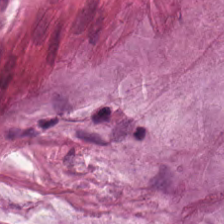Brightfield microscopy; H&E-stained tissue section.
This patch shows mucin.
